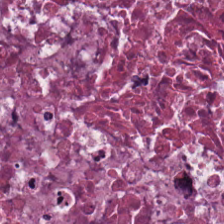224×224 pixel tile · 0.5 µm/px · H&E-stained tissue section — Finding — cellular debris.
